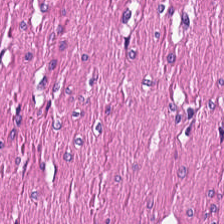This field is smooth-muscle tissue.
